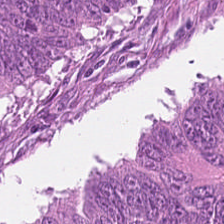Stain: H&E stain.
Resolution: 0.5 microns per pixel.
Preparation: FFPE tissue section.
Tissue type: malignant epithelium.
